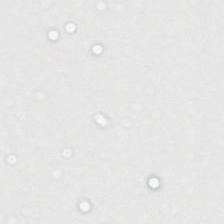0.5 microns per pixel · hematoxylin-and-eosin stained section.
Q: Classify this patch.
A: This is no tissue.
